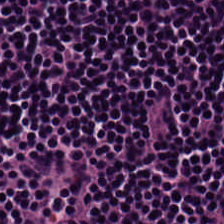The tissue here is lymphoid infiltrate.
